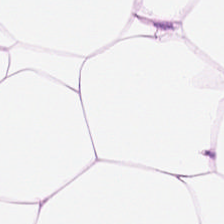0.5 µm/px; hematoxylin-and-eosin stained section; 224×224 pixel tile.
This field is adipose.
